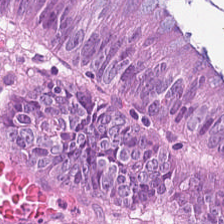Whole-slide-image patch; H&E.
Histology — tumor epithelium.
